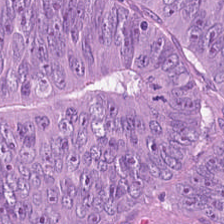WSI patch; H&E stain. The tissue type is adenocarcinoma.
